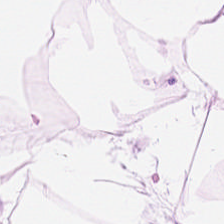H&E patch showing adipose.
